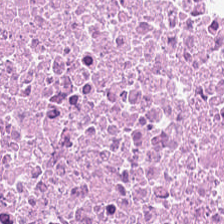WSI patch. H&E-stained tissue section.
Tissue class: cellular debris.
